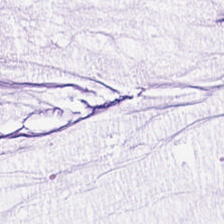Q: Classify this patch.
A: Mucin.
